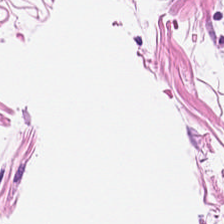Hematoxylin and eosin. Showing fat tissue.
